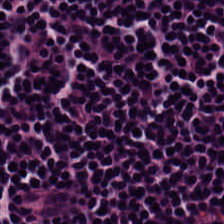H&E-stained section; the field shows lymphocyte aggregate.
